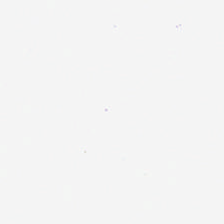Stain: hematoxylin-and-eosin stained section.
Content: background.
